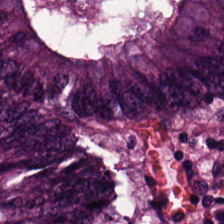Stain: hematoxylin-and-eosin stained section.
Tissue class: adenocarcinoma.
